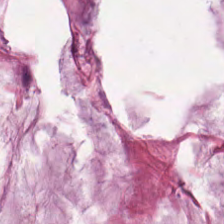Stain: hematoxylin-and-eosin stained section.
Tissue class: extracellular mucin.
